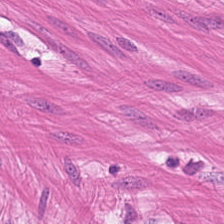Impression — smooth-muscle tissue.
